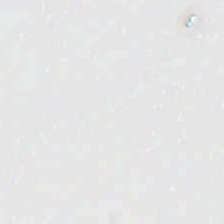Hematoxylin-and-eosin stained section; FFPE tissue section.
{"content": "background"}
